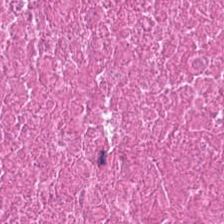H&E stain · 224×224 px patch. The predominant tissue is cellular debris.
